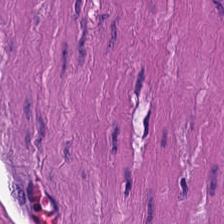H&E-stained tissue section — Tissue type: smooth-muscle tissue.
